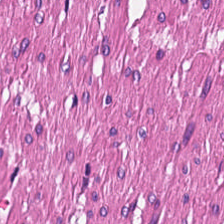H&E-stained tissue section. 224×224 pixel tile.
Q: Identify the tissue.
A: This is smooth muscle.
